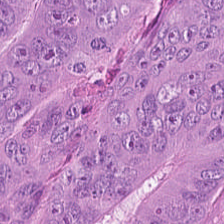Formalin-fixed paraffin-embedded section · H&E.
Q: Identify the tissue.
A: This is tumor epithelium.
